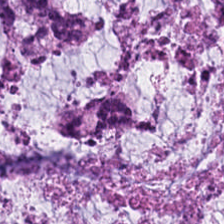H&E stain — Histology → mucus.
